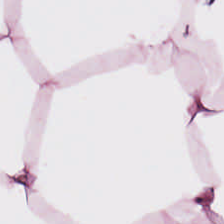Hematoxylin and eosin — Q: What tissue is shown?
A: The field shows adipose tissue.
